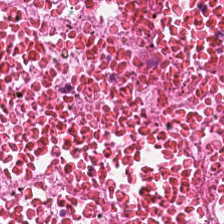H&E-stained tissue section; formalin-fixed paraffin-embedded section; 0.5 microns per pixel. The predominant tissue is debris.
